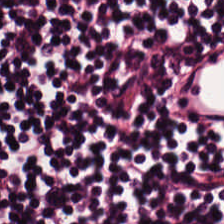Brightfield. 20× equivalent magnification. Hematoxylin and eosin — Tissue class: lymphocytic infiltrate.
